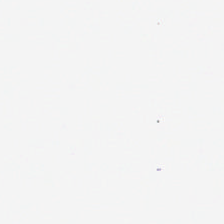H&E-stained tissue section.
Background — no tissue in this field.
